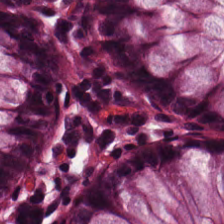H&E stain. Showing normal colon mucosa.
